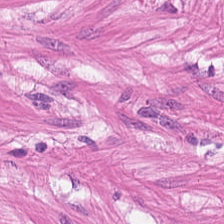H&E.
Classification = smooth-muscle tissue.
